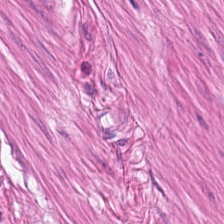Hematoxylin and eosin. 0.5 µm per pixel. Showing smooth-muscle tissue.
